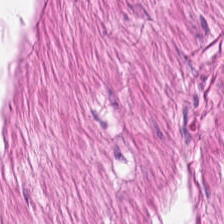H&E.
Q: Classify this patch.
A: The field shows smooth muscle.
